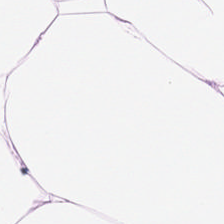Q: What type of tissue is this?
A: The field shows adipose tissue.
